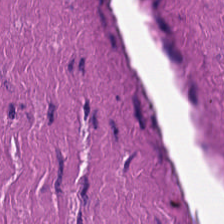Stain: H&E.
Acquisition: WSI patch.
Classification: smooth muscle.
